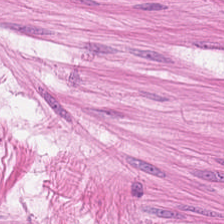Finding — muscularis.
